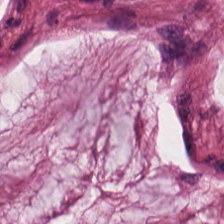0.5 µm/px; hematoxylin-and-eosin stained section — The predominant tissue is extracellular mucin.
